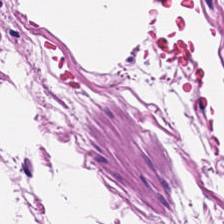Stain: H&E stain.
Tissue class: smooth-muscle tissue.
